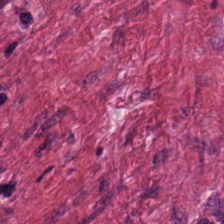20× equivalent magnification. H&E stain. The predominant tissue is desmoplastic stroma.
